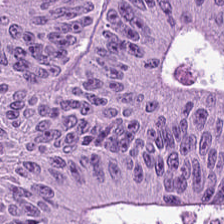Stain: H&E stain.
Tissue class: malignant epithelium.
